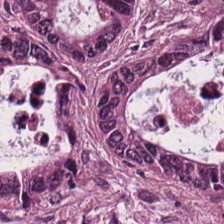H&E-stained tissue section. The tissue type is adenocarcinoma.
